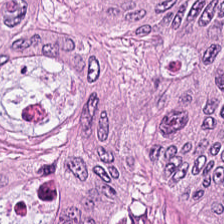H&E; FFPE. This field is colorectal adenocarcinoma epithelium.
